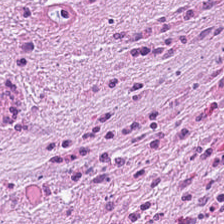224×224 pixel tile · H&E-stained tissue section.
Predominantly cancer-associated stroma.
